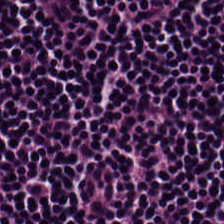H&E-stained tissue section — Predominant tissue: lymphocytes.
